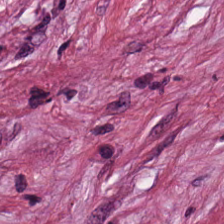Stain: hematoxylin-and-eosin stained section.
Tissue: cancer-associated stroma.
